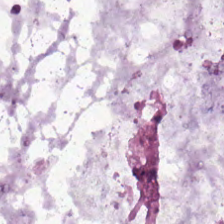Tissue type = extracellular mucin.
